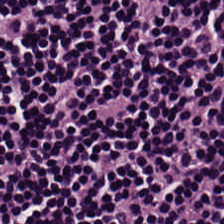Hematoxylin-and-eosin stained section. Q: What type of tissue is this?
A: The field shows lymphocytic infiltrate.
